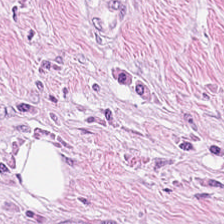Impression → cancer-associated stroma.
